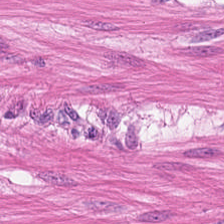Q: What does this patch show?
A: Muscularis.
